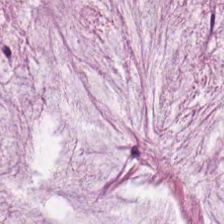Mucin.
